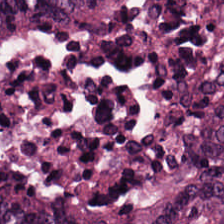Hematoxylin-and-eosin section: malignant epithelium.
